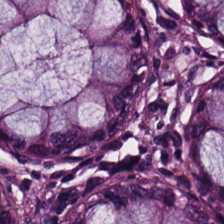Hematoxylin and eosin.
{"tissue_type": "normal colon mucosa"}
